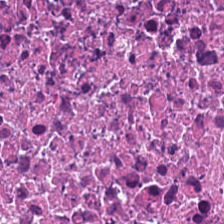H&E-stained tissue section; FFPE.
Tissue: debris.
